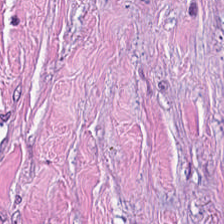H&E — This field is cancer-associated stroma.
